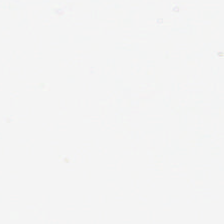Classification: background.
